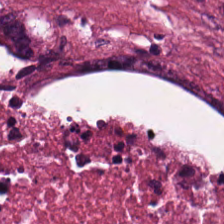224×224 px tile; hematoxylin-and-eosin stained section.
Finding — debris.
